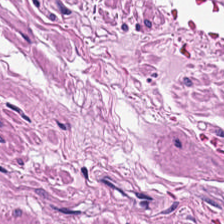H&E stain. Q: What does this patch show?
A: It is muscularis.
